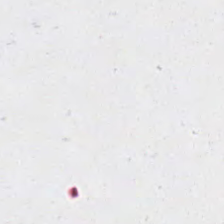H&E — This field is background (no tissue).
